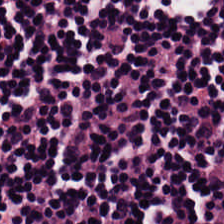Hematoxylin-and-eosin stained section · 0.5 µm per pixel · brightfield microscopy. Showing lymphocytic infiltrate.
